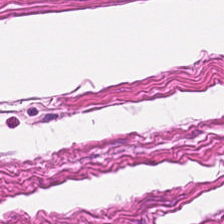Whole-slide-image patch · hematoxylin and eosin — Impression → muscularis.
